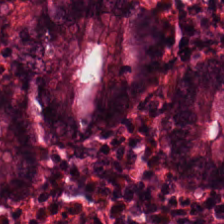H&E — Q: What is shown here?
A: Non-neoplastic colon mucosa.
